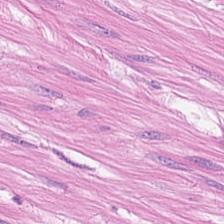0.5 µm per pixel · H&E-stained tissue section — Q: What is shown here?
A: Smooth-muscle tissue.
